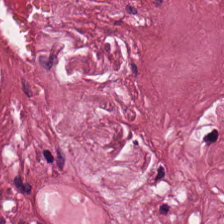H&E. 0.5 µm/px — Tumor stroma.
